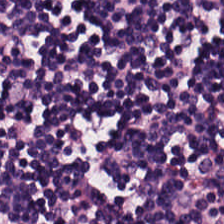224×224 pixel tile · H&E stain — This field is lymphocytes.
